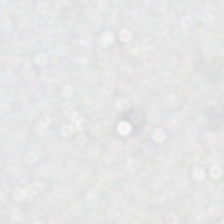FFPE · 0.5 µm per pixel · H&E-stained tissue section — The field content is background.
